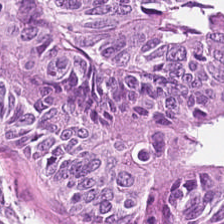The predominant tissue is adenocarcinoma.
